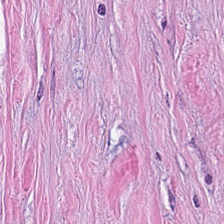Hematoxylin and eosin. Tissue class — tumor stroma.
